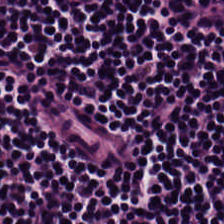224×224 pixel tile; 0.5 µm/px; hematoxylin-and-eosin stained section.
Q: Classify this patch.
A: The field shows lymphoid infiltrate.
